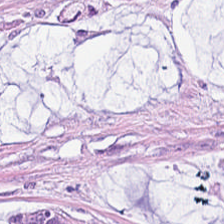Q: What is the predominant tissue type?
A: The field shows mucin.
